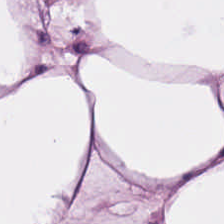H&E-stained tissue section. The tissue type is adipocytes.
